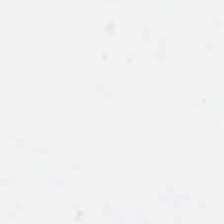H&E-stained tissue section. Q: What is shown in this field?
A: The field shows empty background.
